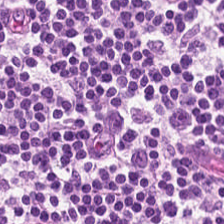Stain: hematoxylin and eosin.
Tissue type: lymphoid infiltrate.
